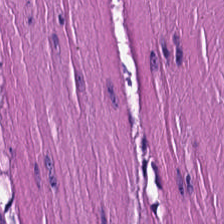Brightfield microscopy. 0.5 microns per pixel. H&E stain.
Q: Classify this patch.
A: The field shows smooth muscle.
